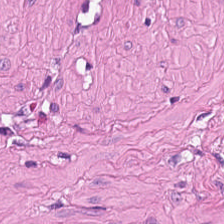Impression — smooth muscle.
